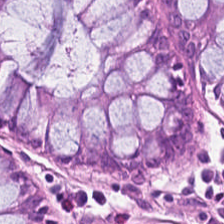224×224 px tile; hematoxylin-and-eosin stained section. Tissue = normal colon mucosa.
